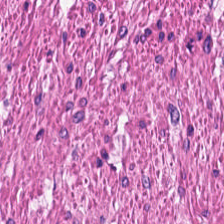Stain: hematoxylin-and-eosin stained section.
Classification: smooth muscle.
